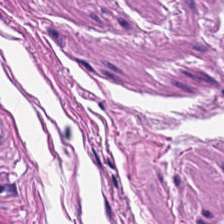H&E-stained tissue section — Tissue class = smooth-muscle tissue.
